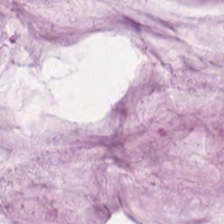Histology — mucus.
